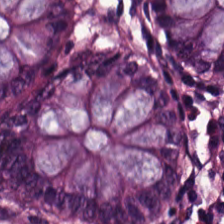Classification: non-neoplastic colon mucosa.
